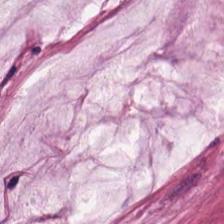Hematoxylin-and-eosin stained section.
Finding → extracellular mucin.
